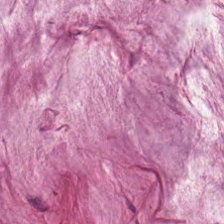H&E · 0.5 µm/px · FFPE. Predominantly extracellular mucin.
